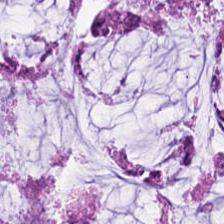Stain: H&E.
Acquisition: brightfield.
Tissue: mucin.
